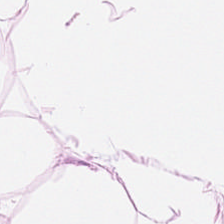H&E stain; FFPE; 0.5 microns per pixel — Q: What is shown here?
A: Adipose.
